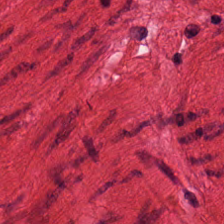Brightfield; H&E stain — Tissue type — muscularis.
